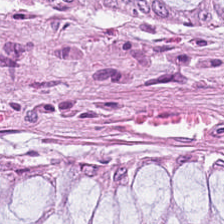0.5 µm per pixel; H&E stain; whole-slide-image patch.
Histology — non-neoplastic colon mucosa.
